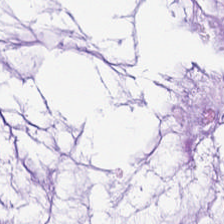0.5 µm per pixel; 224×224 px tile; H&E-stained tissue section. This patch shows mucin.
